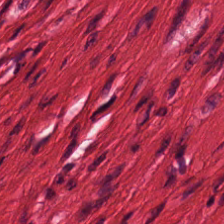Hematoxylin and eosin; 224×224 pixel tile.
Histology — muscularis.
